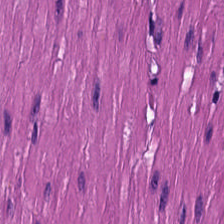Stain: hematoxylin and eosin.
Tissue: muscularis.
